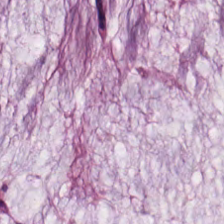Tissue type — extracellular mucin.
